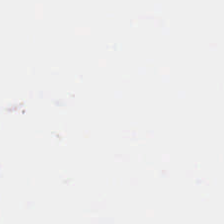Formalin-fixed paraffin-embedded section; hematoxylin and eosin — Empty field — background.
